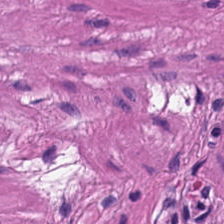Q: What tissue is shown?
A: Smooth muscle.
